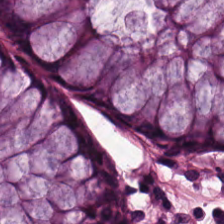WSI patch · H&E-stained tissue section · 0.5 microns per pixel.
Q: What is shown in this field?
A: It is normal colonic mucosa.
